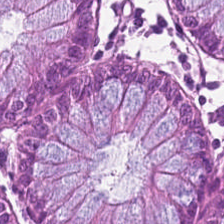Hematoxylin and eosin. Showing normal colonic mucosa.
